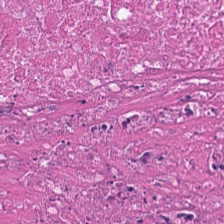H&E-stained section; the field shows cellular debris.
